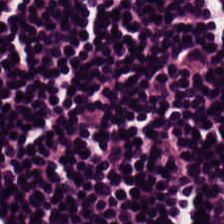Hematoxylin and eosin. 224×224 px patch — The predominant tissue is lymphocyte aggregate.
